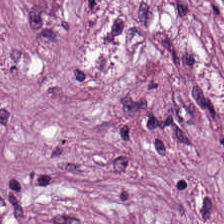H&E stain — Tissue = tumor-associated stroma.
